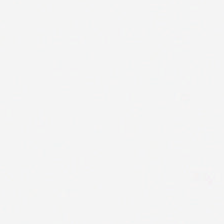Hematoxylin and eosin.
This field is background (no tissue).
